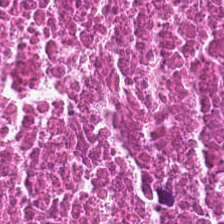H&E — debris.
